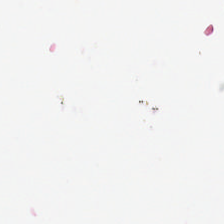H&E-stained tissue section. Classification = empty background.
